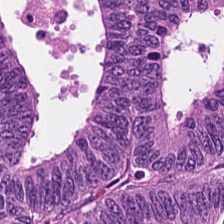H&E-stained tissue section. This field is colorectal adenocarcinoma epithelium.
